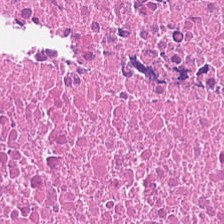Stain: H&E stain.
Tissue: necrotic debris.
